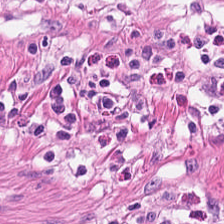H&E stain; FFPE; 20× equivalent magnification.
This patch shows smooth-muscle tissue.
